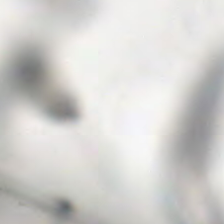224×224 px tile. H&E stain. 0.5 µm per pixel.
Q: What does this patch show?
A: Background.
